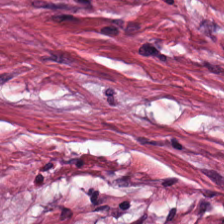20× equivalent magnification · hematoxylin and eosin · WSI patch.
Classification — tumor stroma.
